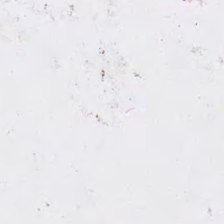0.5 µm/px · H&E-stained tissue section. This patch shows no tissue.
